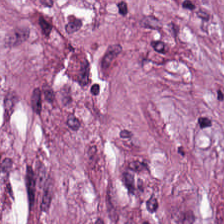The tissue is tumor stroma.
